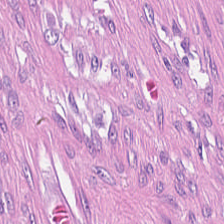20× equivalent magnification · H&E. {"tissue_type": "cancer-associated stroma"}
